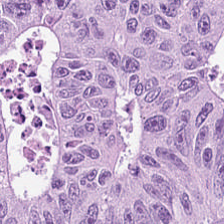H&E. Classification: tumor epithelium.
